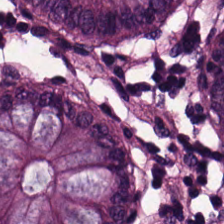Hematoxylin-and-eosin section: normal colonic mucosa.
